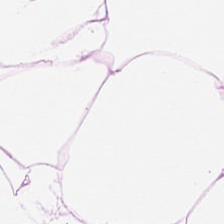Finding — adipose.
